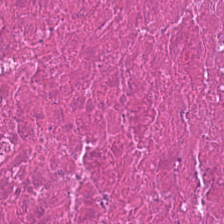H&E stain; 224×224 px tile; WSI patch. The classification is cellular debris.
